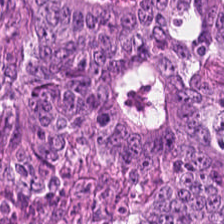Stain: H&E-stained tissue section.
Predominant tissue: colorectal adenocarcinoma.
